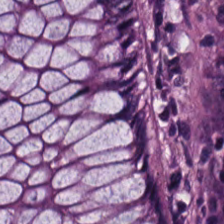H&E stain · FFPE. The predominant tissue is normal colon mucosa.
